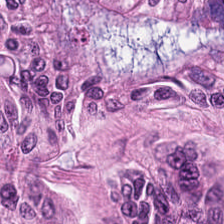H&E-stained tissue section.
The predominant tissue is colorectal adenocarcinoma.
